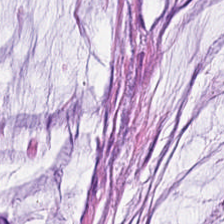Histology — extracellular mucin.
